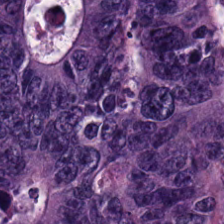H&E-stained tissue section. 0.5 µm/px — The predominant tissue is adenocarcinoma.
